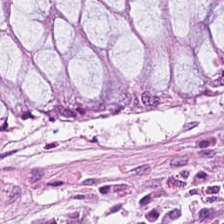Normal colonic mucosa.
